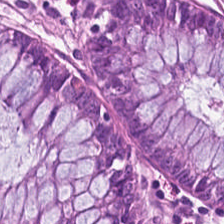Stain: hematoxylin and eosin.
Classification: normal colonic mucosa.
